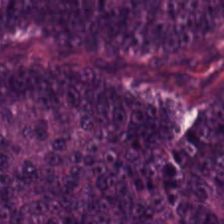H&E. The predominant tissue is adenocarcinoma.
